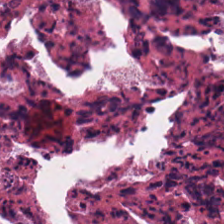Hematoxylin and eosin · 224×224 px patch — {"tissue_type": "cellular debris"}
